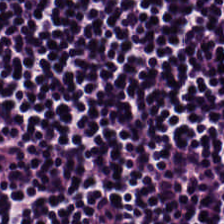H&E; 224×224 px tile — The predominant tissue is lymphocytes.
